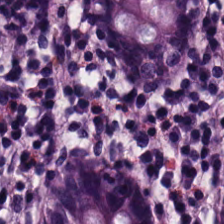H&E. Predominantly normal colon mucosa.
